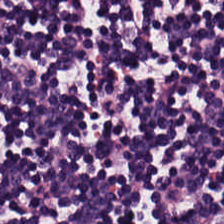Predominant tissue = lymphocytes.
